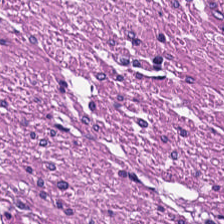Hematoxylin-and-eosin stained section.
{"tissue_type": "smooth muscle"}
